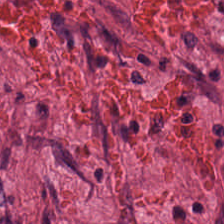Hematoxylin-and-eosin stained section · 224×224 px patch — The tissue here is tumor stroma.
